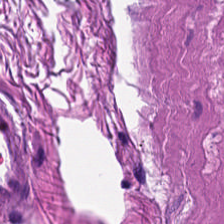224×224 pixel tile; formalin-fixed paraffin-embedded section; H&E-stained tissue section. This field is smooth muscle.
